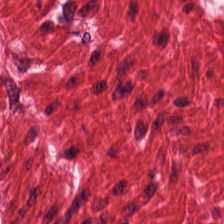Tissue class = muscularis.
